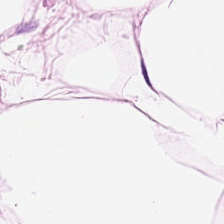H&E stain; FFPE tissue section. Q: What type of tissue is this?
A: It is fat tissue.
